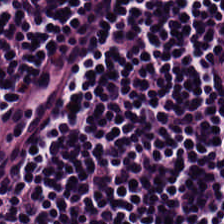Stain: H&E stain.
Tile size: 224×224 px patch.
Tissue class: lymphocyte aggregate.
